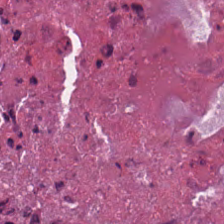0.5 microns per pixel · brightfield · H&E. Finding → debris.
